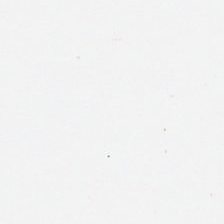Classification: background (no tissue).
